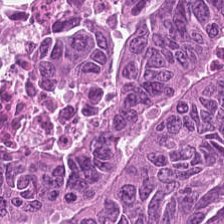224×224 px tile · H&E stain. Q: What is shown in this field?
A: It is tumor epithelium.
